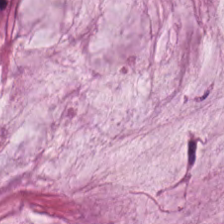H&E. Brightfield — The predominant tissue is mucin.
